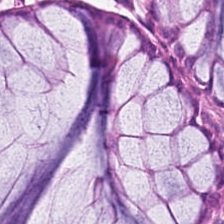The predominant tissue is non-neoplastic colon mucosa.
